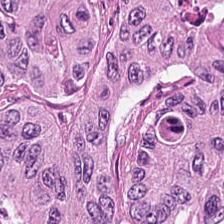Histology → adenocarcinoma.
